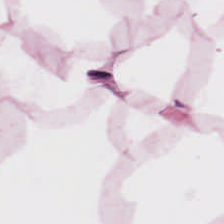H&E-stained tissue section.
Showing adipose.
